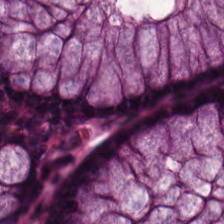Hematoxylin-and-eosin stained section. FFPE tissue section — This field is benign colonic mucosa.
